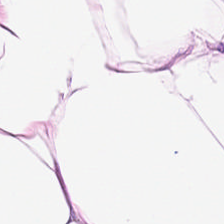Tissue: fat tissue.
